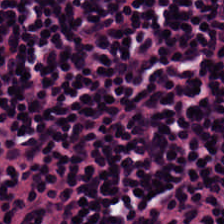FFPE. H&E stain. WSI patch — Lymphocytes.
